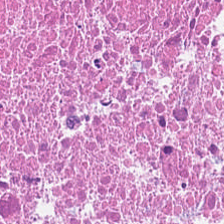H&E stain.
Q: What is the predominant tissue type?
A: It is necrotic debris.
